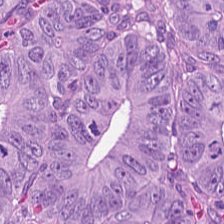H&E-stained tissue section.
Tissue — tumor epithelium.
